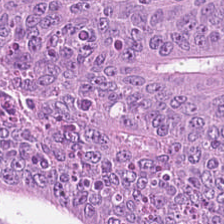Impression → colorectal adenocarcinoma epithelium.
